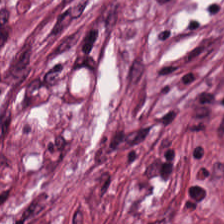H&E.
Impression — desmoplastic stroma.
